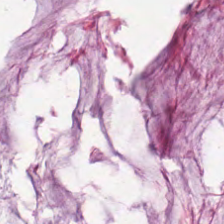H&E. 0.5 µm per pixel.
Tissue class — extracellular mucin.
